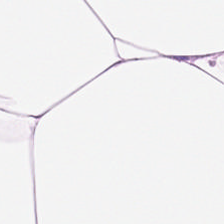H&E stain. Q: What tissue type is shown here?
A: Adipocytes.
